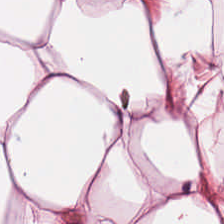Hematoxylin and eosin. Whole-slide-image patch.
Showing fat tissue.
